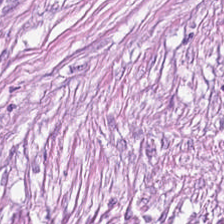H&E-stained tissue section — Tumor-associated stroma.
